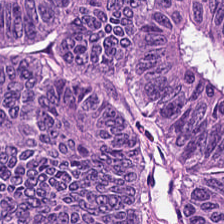Hematoxylin-and-eosin stained section · 20× equivalent magnification. Showing colorectal adenocarcinoma epithelium.
